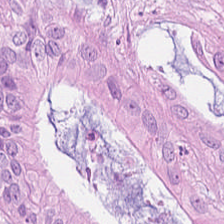Tissue type — adenocarcinoma.
